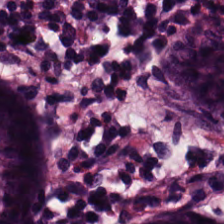Hematoxylin-and-eosin stained section.
The tissue here is normal colonic mucosa.
